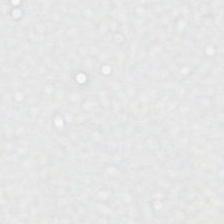Hematoxylin and eosin; brightfield — No tissue present; background only.
